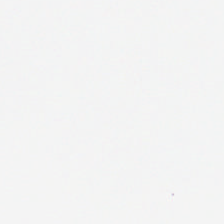Hematoxylin-and-eosin stained section.
{"content": "no tissue"}
